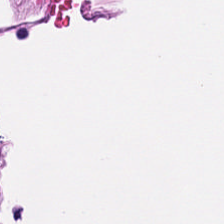Hematoxylin and eosin; 0.5 µm/px — Q: Identify the tissue.
A: It is muscularis.
